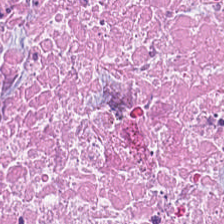H&E; brightfield. Predominant tissue — debris.
